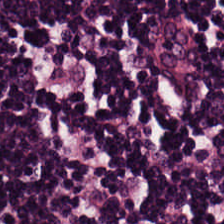H&E stain — Tissue — lymphocytic infiltrate.
